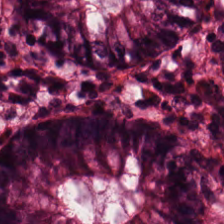WSI patch; hematoxylin-and-eosin stained section — Tissue class — non-neoplastic colon mucosa.
